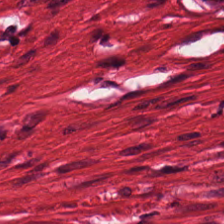Hematoxylin and eosin — Tissue class — muscularis.
